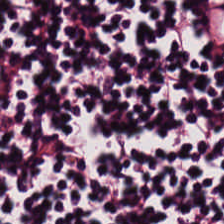Classification: lymphocytes.
